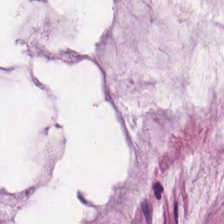Formalin-fixed paraffin-embedded section · H&E stain.
Tissue: extracellular mucin.
